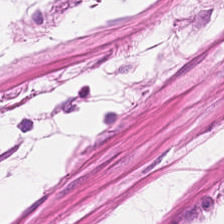Q: Identify the tissue.
A: Muscularis.
